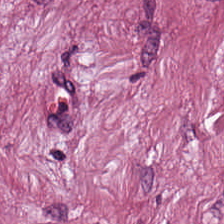H&E-stained tissue section showing tumor stroma.
